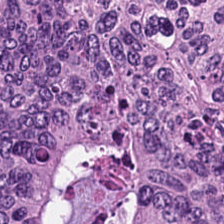This patch shows malignant epithelium.
